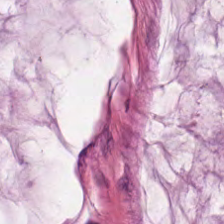Q: Classify this patch.
A: Mucin.
